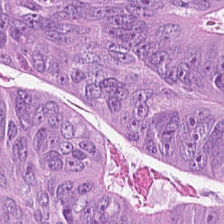Stain: H&E-stained tissue section.
Tissue class: malignant epithelium.
